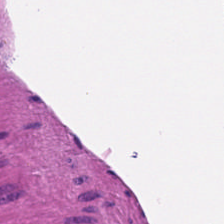{"tissue_type": "muscularis"}
